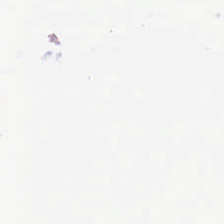Hematoxylin and eosin. Classification = background (no tissue).
